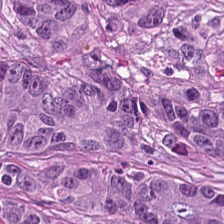{"tissue_type": "malignant epithelium"}
